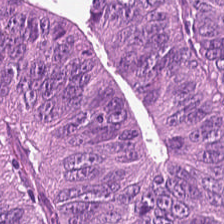Classification = adenocarcinoma.
